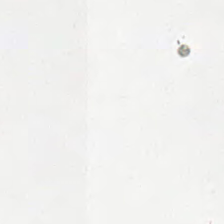H&E-stained tissue section — Background (no tissue).
